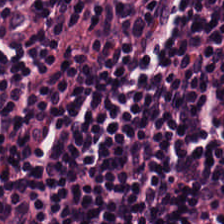H&E.
Finding — lymphoid infiltrate.
